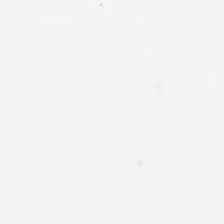224×224 px patch. Whole-slide-image patch. Hematoxylin and eosin — Classification = no tissue.
